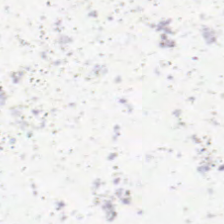FFPE. Whole-slide-image patch. H&E. {"content": "background (no tissue)"}
